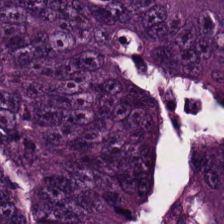Finding — tumor epithelium.
